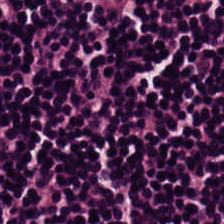Stain: H&E stain.
Tissue type: lymphoid infiltrate.
